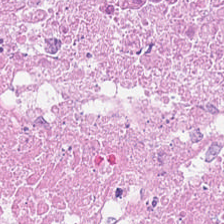Stain: hematoxylin-and-eosin stained section.
Resolution: 0.5 µm per pixel.
Tissue class: debris.
